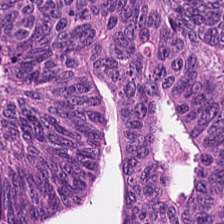Hematoxylin-and-eosin stained section. Finding — malignant epithelium.
